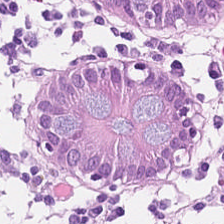Predominant tissue = normal colonic mucosa.
